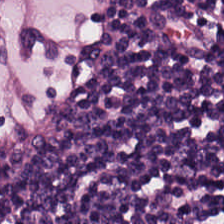Predominant tissue: lymphoid infiltrate.
